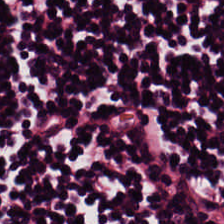H&E stain; FFPE; 224×224 px patch.
Classification = lymphocytic infiltrate.
